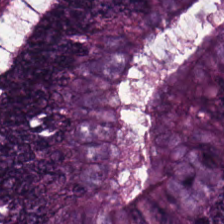Impression — colorectal adenocarcinoma.
